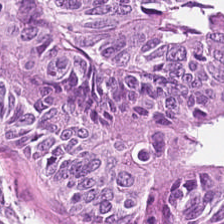H&E stain — Colorectal adenocarcinoma.
